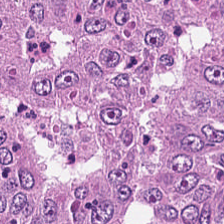Q: What is shown here?
A: Colorectal adenocarcinoma.
